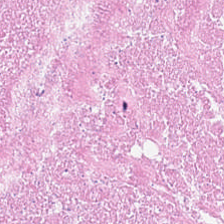H&E patch showing necrotic debris.
